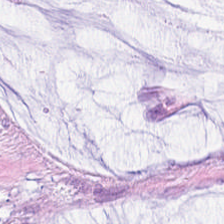Hematoxylin-and-eosin stained section. Predominant tissue — mucin.
